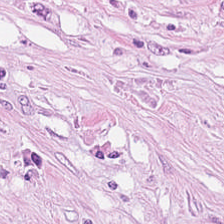H&E. 224×224 pixel tile. Brightfield microscopy — Showing cancer-associated stroma.
